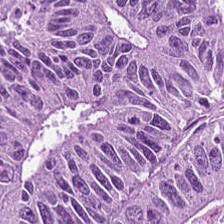Hematoxylin-and-eosin stained section — This patch shows colorectal adenocarcinoma.
